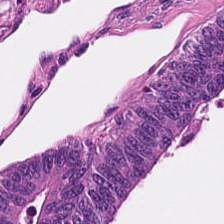H&E-stained tissue section. 224×224 px tile. 0.5 µm/px. Showing tumor epithelium.
